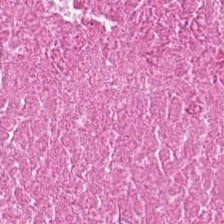Hematoxylin and eosin.
Q: What is the predominant tissue type?
A: The field shows cellular debris.
